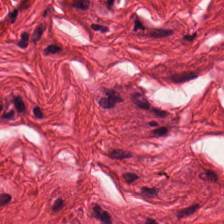Whole-slide-image patch; H&E stain.
Tissue class — muscularis.
